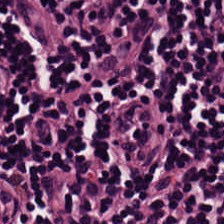{"tissue_type": "lymphocytic infiltrate"}
